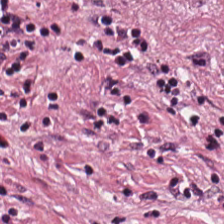Q: What is shown in this field?
A: Tumor-associated stroma.
